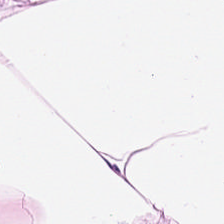FFPE; hematoxylin-and-eosin stained section.
Q: What is shown in this field?
A: It is adipocytes.
